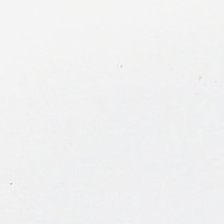Stain: hematoxylin-and-eosin stained section.
Field content: background (no tissue).
